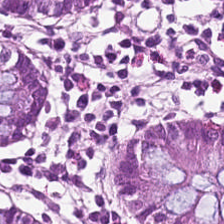H&E-stained tissue section — This patch shows normal colonic mucosa.
